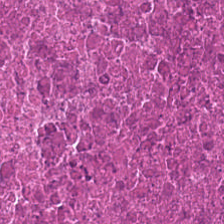Histology — necrotic debris.
